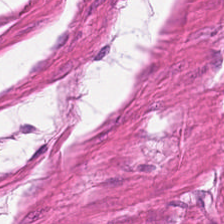Hematoxylin and eosin. Histology → muscularis.
